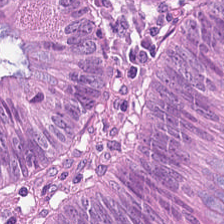Hematoxylin and eosin · 0.5 µm per pixel — Q: What does this patch show?
A: The field shows colorectal adenocarcinoma.
